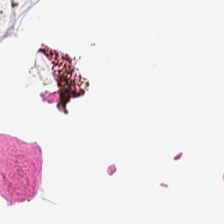H&E-stained tissue section.
The classification is background (no tissue).
